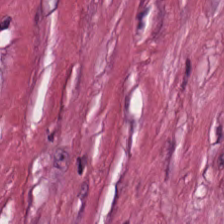WSI patch. H&E. 224×224 px tile — Impression → tumor stroma.
